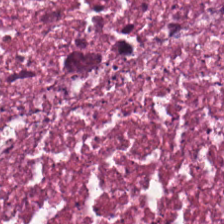H&E-stained tissue section. This field is necrotic debris.
